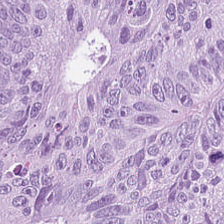Impression — tumor epithelium.
